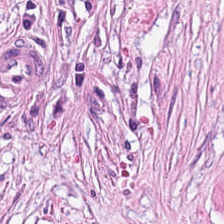Brightfield; H&E stain — The tissue here is tumor stroma.
